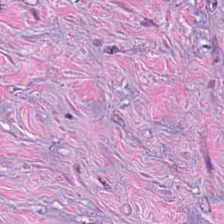This patch shows tumor-associated stroma.
